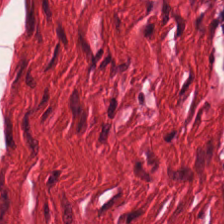Hematoxylin and eosin. 0.5 µm per pixel. Tissue: muscularis.
